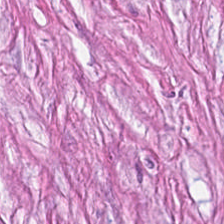Formalin-fixed paraffin-embedded section. Hematoxylin-and-eosin stained section. Q: What tissue is shown?
A: It is tumor stroma.
